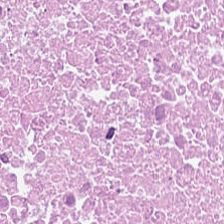The tissue here is cellular debris.
